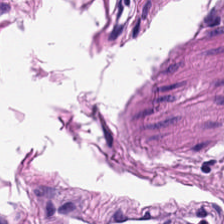Hematoxylin-and-eosin stained section; FFPE. {"tissue_type": "muscularis"}
